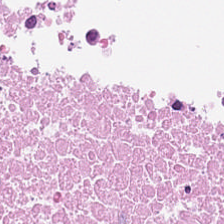H&E · WSI patch — {"tissue_type": "cellular debris"}
